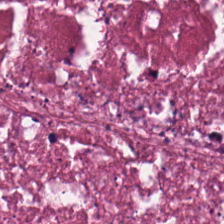H&E stain.
Q: What does this patch show?
A: This is debris.
